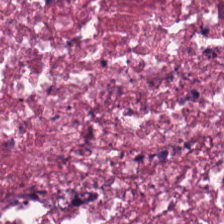Stain: H&E stain.
Acquisition: brightfield microscopy.
Tile size: 224×224 pixel tile.
Classification: cellular debris.
